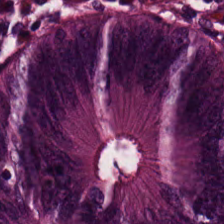Hematoxylin and eosin — Predominantly colorectal adenocarcinoma epithelium.
